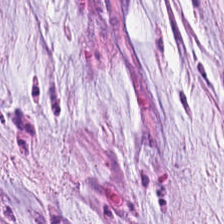This field is mucin.
